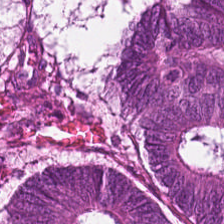Tumor epithelium.
